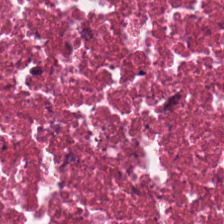H&E-stained tissue section. Q: What tissue is shown?
A: This is cellular debris.
